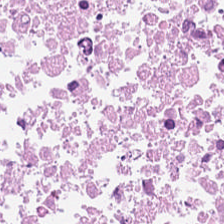Showing cellular debris.
